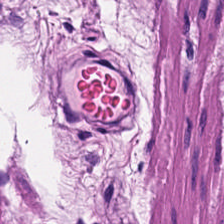H&E — Q: What is the predominant tissue type?
A: It is muscularis.
